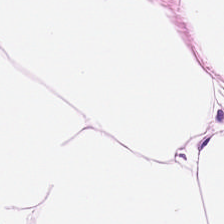H&E-stained tissue section — Predominantly adipocytes.
